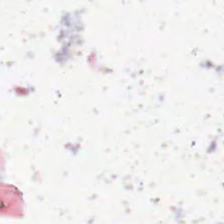FFPE tissue section · 224×224 px patch · H&E stain — Q: What does this patch show?
A: The field shows empty background.
